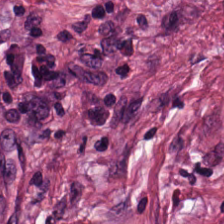H&E-stained tissue section. WSI patch. FFPE tissue section. The tissue type is desmoplastic stroma.
